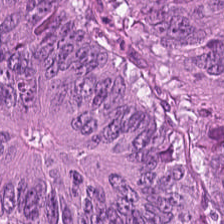Finding — tumor epithelium.
